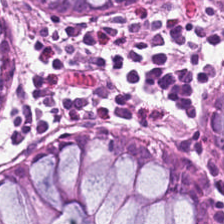Hematoxylin-and-eosin stained section.
Tissue class = non-neoplastic colon mucosa.
